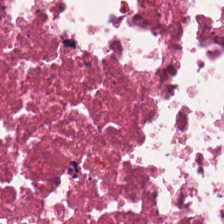Hematoxylin-and-eosin stained section — Impression → debris.
